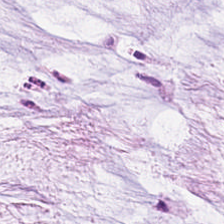Stain: hematoxylin-and-eosin stained section.
Classification: mucin.
